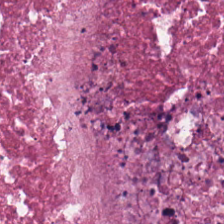H&E-stained tissue section. Showing necrotic debris.
